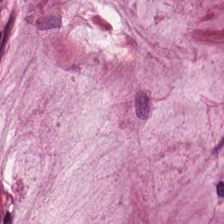0.5 µm/px. H&E stain. Predominantly mucus.
